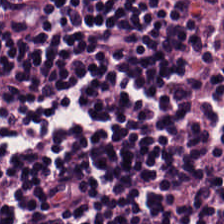H&E.
Lymphocytes.
